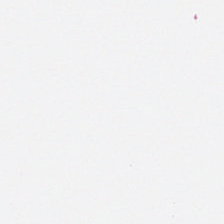Hematoxylin-and-eosin stained section — Histology — empty background.
